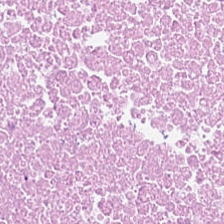H&E stain.
Impression — debris.
